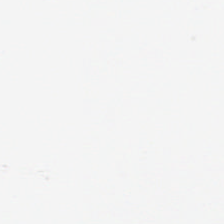Impression — background (no tissue).
